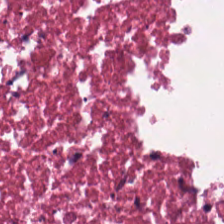224×224 px tile; hematoxylin-and-eosin stained section. The predominant tissue is debris.
